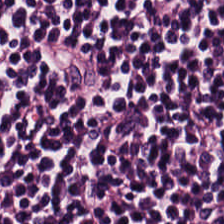Stain: hematoxylin and eosin.
Resolution: 0.5 microns per pixel.
Acquisition: brightfield microscopy.
Tissue type: lymphocytic infiltrate.
